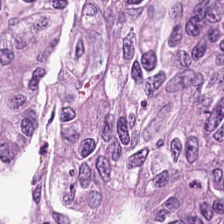FFPE. 224×224 px patch. Hematoxylin and eosin. Classification: malignant epithelium.
